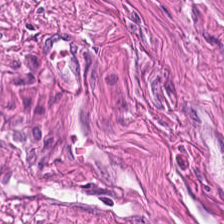Hematoxylin-and-eosin stained section · 224×224 pixel tile — This patch shows smooth-muscle tissue.
